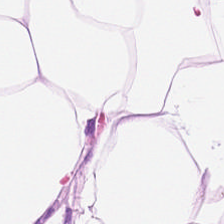Stain: H&E-stained tissue section.
Tile size: 224×224 px tile.
Tissue class: adipose.
